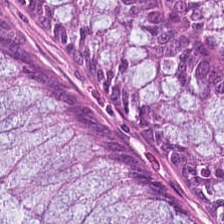0.5 µm/px. Hematoxylin-and-eosin stained section. WSI patch. {"tissue_type": "normal colon mucosa"}
